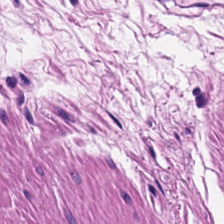Hematoxylin and eosin — Smooth-muscle tissue.
